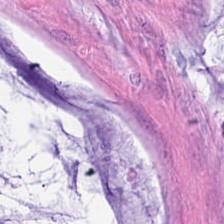Tissue class: extracellular mucin.
